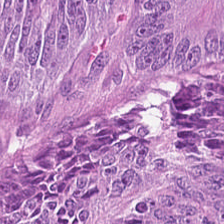FFPE tissue section; H&E-stained tissue section. The predominant tissue is adenocarcinoma.
